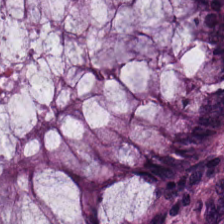H&E.
This patch shows normal colon mucosa.
